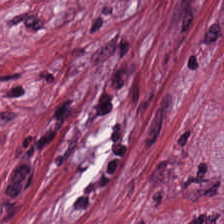Finding → cancer-associated stroma.
